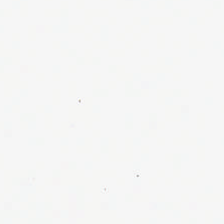H&E. FFPE tissue section — This patch shows no tissue.
